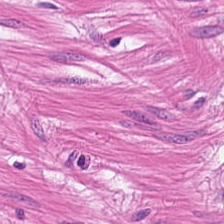Predominantly muscularis.
